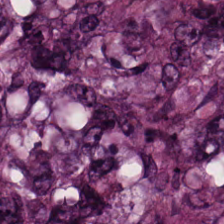H&E-stained tissue section.
Classification — adenocarcinoma.
